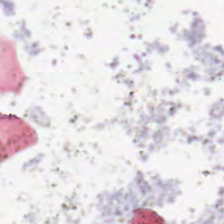FFPE; H&E stain.
Field content — no tissue.
